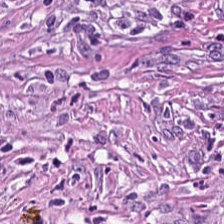Brightfield; H&E.
Histology → tumor stroma.
